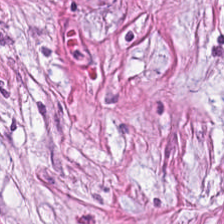Hematoxylin-and-eosin stained section.
Cancer-associated stroma.
